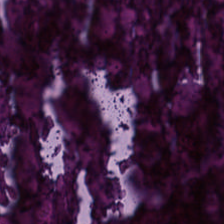Hematoxylin-and-eosin stained section. Tissue class: debris.
